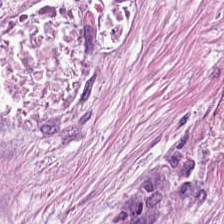H&E-stained tissue section showing tumor stroma.
